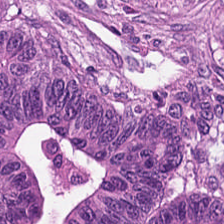Showing colorectal adenocarcinoma.
